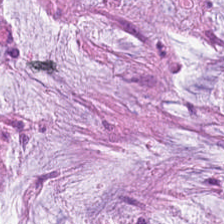0.5 microns per pixel; H&E.
Mucin.
